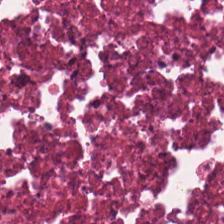FFPE tissue section. H&E stain. Whole-slide-image patch. Q: What is the predominant tissue type?
A: Cellular debris.
